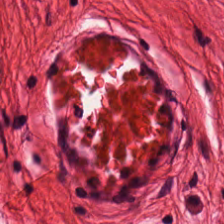224×224 pixel tile; brightfield; H&E stain. Tissue class = smooth muscle.
